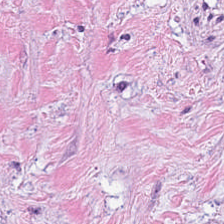224×224 px patch; formalin-fixed paraffin-embedded section; H&E-stained tissue section.
The predominant tissue is desmoplastic stroma.
